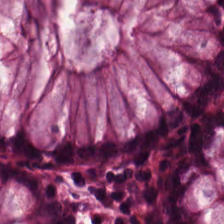Hematoxylin-and-eosin stained section. Q: What tissue is shown?
A: This is non-neoplastic colon mucosa.
